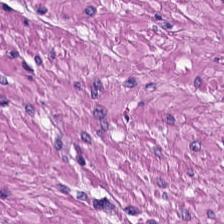Smooth muscle.
